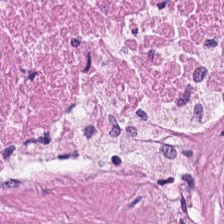H&E-stained section; the field shows debris.
